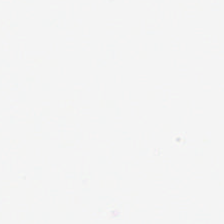H&E-stained tissue section · 20× equivalent magnification.
This field is background (no tissue).
